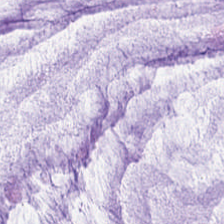0.5 µm/px · H&E-stained tissue section.
The tissue class is mucus.
